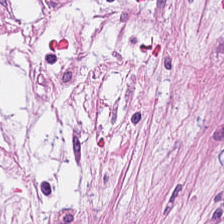H&E; brightfield microscopy — The tissue type is tumor-associated stroma.
